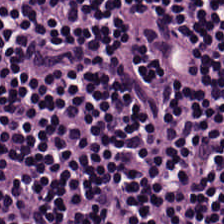0.5 µm per pixel. 224×224 pixel tile. Hematoxylin and eosin — Lymphoid infiltrate.
